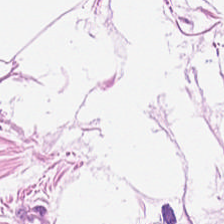H&E-stained tissue section. Predominant tissue = adipocytes.
